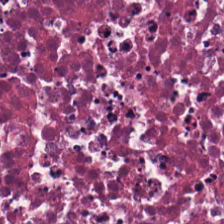H&E-stained tissue section showing cellular debris.
